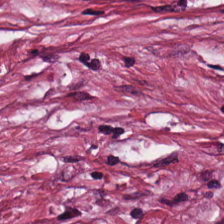Hematoxylin and eosin — Tumor-associated stroma.
